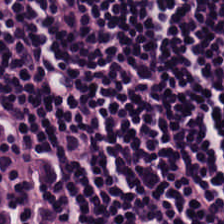0.5 µm/px; hematoxylin-and-eosin stained section. Tissue type = lymphocyte aggregate.
